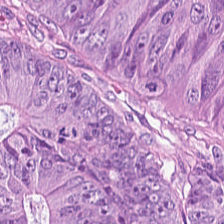Tissue — colorectal adenocarcinoma.
